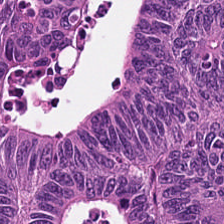H&E stain; brightfield; 20× equivalent magnification. Predominant tissue — malignant epithelium.
